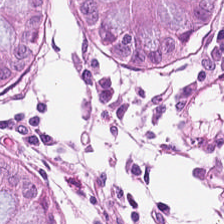H&E.
Finding — normal colonic mucosa.
